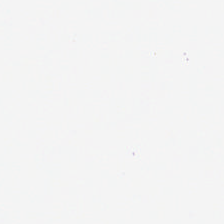H&E stain.
Impression → no tissue.
